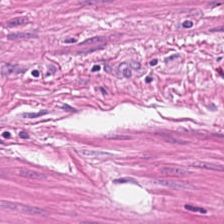H&E-stained tissue section; FFPE tissue section.
Muscularis.
